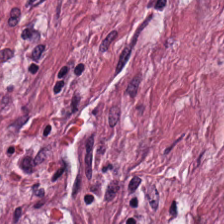Hematoxylin and eosin. Tissue type — cancer-associated stroma.
